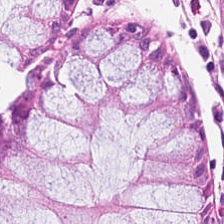H&E stain · 20× equivalent magnification.
The tissue is benign colonic mucosa.
